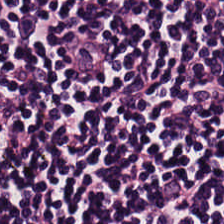H&E patch showing lymphoid infiltrate.
